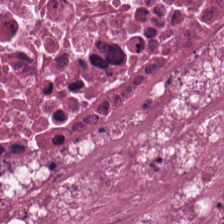Q: Identify the tissue.
A: Necrotic debris.
